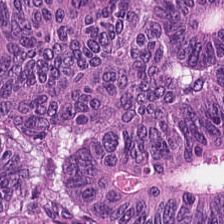Hematoxylin-and-eosin stained section — Colorectal adenocarcinoma epithelium.
